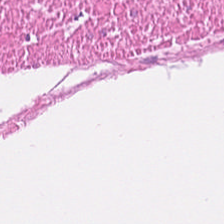WSI patch. 0.5 µm per pixel. H&E — Tissue class = muscularis.
